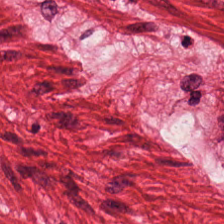Brightfield. H&E-stained tissue section — The predominant tissue is smooth muscle.
